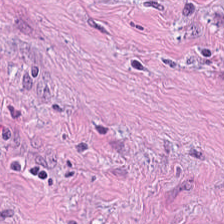H&E. Q: Classify this patch.
A: This is tumor stroma.
